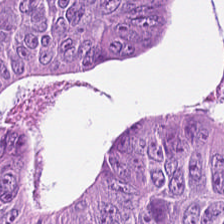H&E-stained tissue section.
Colorectal adenocarcinoma.
